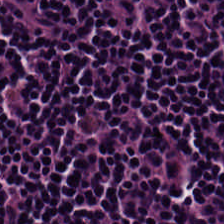H&E — lymphocyte aggregate.
